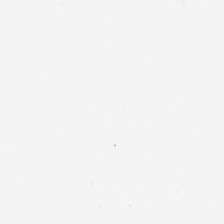0.5 µm/px · H&E. This patch shows no tissue.
